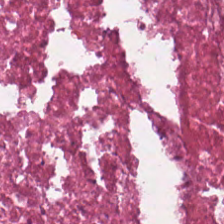Hematoxylin and eosin — Q: Classify this patch.
A: It is cellular debris.
